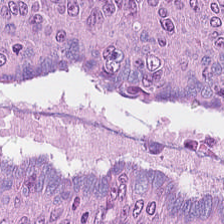Hematoxylin and eosin. Q: Classify this patch.
A: This is adenocarcinoma.
